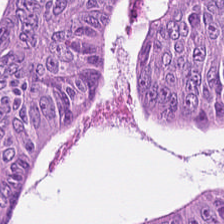H&E stain. Finding — malignant epithelium.
